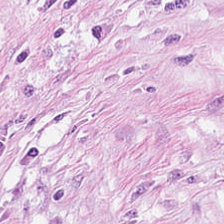Stain: H&E-stained tissue section.
Tissue: desmoplastic stroma.
